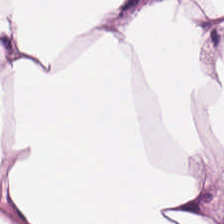Brightfield microscopy · hematoxylin-and-eosin stained section · 224×224 px patch — Q: What is the predominant tissue type?
A: Fat tissue.
